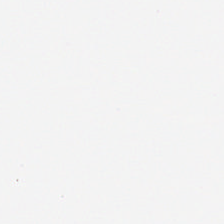Stain: H&E-stained tissue section.
Tile size: 224×224 px patch.
Preparation: formalin-fixed paraffin-embedded section.
Classification: background.
